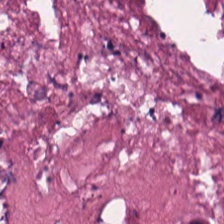224×224 px tile · brightfield microscopy · H&E stain. The classification is necrotic debris.
